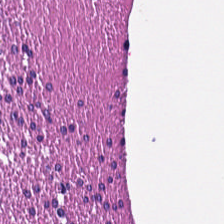H&E — {"tissue_type": "muscularis"}
